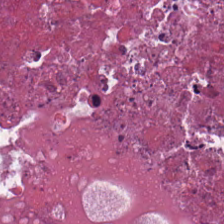Tissue class: debris.
